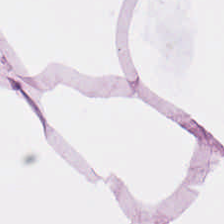FFPE tissue section; hematoxylin-and-eosin stained section — Tissue = adipose tissue.
